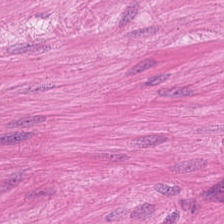Tissue type — muscularis.
